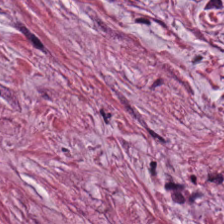The tissue type is cancer-associated stroma.
